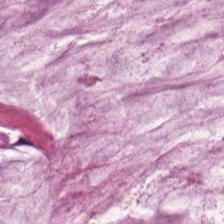H&E stain; formalin-fixed paraffin-embedded section; brightfield.
The tissue here is extracellular mucin.
